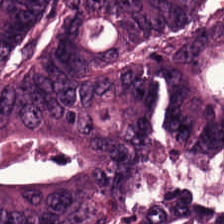Hematoxylin-and-eosin stained section — Classification: tumor epithelium.
